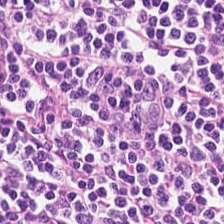H&E stain. Predominant tissue: lymphocytic infiltrate.
